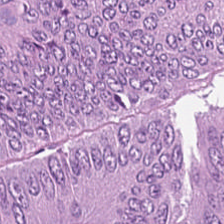Hematoxylin-and-eosin stained section — Q: What tissue is shown?
A: Colorectal adenocarcinoma.
